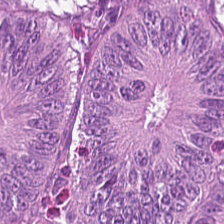Hematoxylin-and-eosin stained section. The predominant tissue is malignant epithelium.
